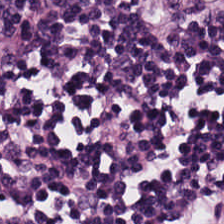H&E.
{"tissue_type": "lymphoid infiltrate"}
